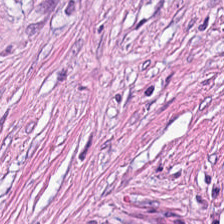This patch shows cancer-associated stroma.
